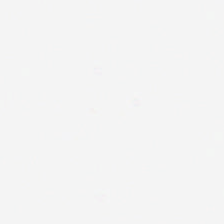Hematoxylin-and-eosin stained section; 224×224 px tile — Impression — no tissue.
